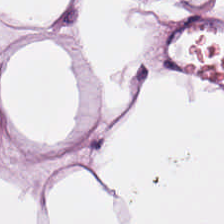H&E stain. Predominantly adipose tissue.
